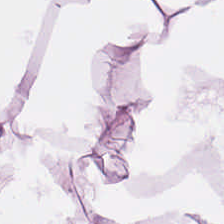H&E-stained tissue section. Q: What is the predominant tissue type?
A: The field shows fat tissue.
